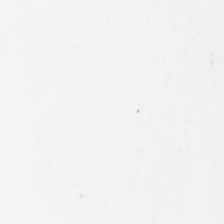224×224 px patch; H&E — Field content — no tissue.
